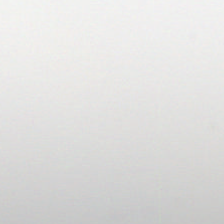Content: no tissue.
